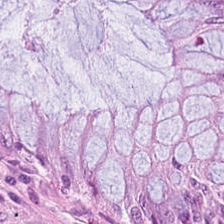FFPE tissue section; 20× equivalent magnification; H&E stain. Normal colonic mucosa.
